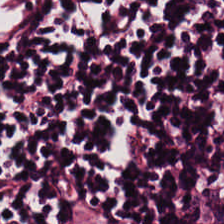Tissue class = lymphocyte aggregate.
